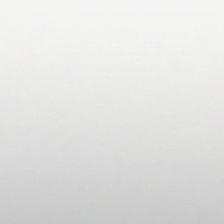20× equivalent magnification; H&E stain; brightfield.
Empty field — empty background.
